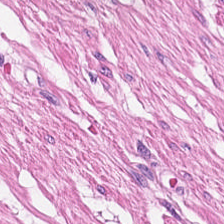H&E-stained tissue section · 224×224 px tile — Predominantly smooth muscle.
